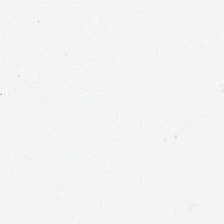224×224 px patch · hematoxylin-and-eosin stained section. The content is background.
